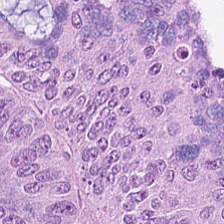H&E-stained tissue section · FFPE tissue section — Tissue: malignant epithelium.
